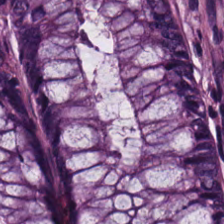FFPE tissue section; H&E — Q: Classify this patch.
A: This is non-neoplastic colon mucosa.
